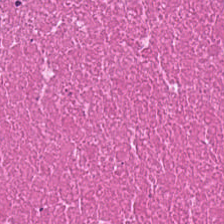H&E stain. Showing cellular debris.
